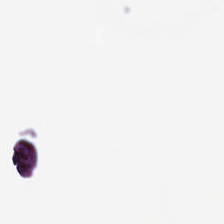Hematoxylin-and-eosin stained section · 0.5 microns per pixel · brightfield microscopy — Empty field — background (no tissue).
